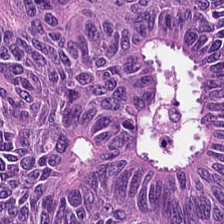224×224 px tile. Hematoxylin-and-eosin stained section — Classification: adenocarcinoma.
